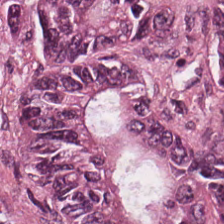Stain: hematoxylin-and-eosin stained section.
Tissue class: malignant epithelium.
